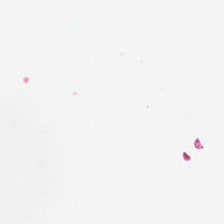No tissue present; background only.
